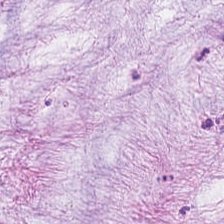H&E.
Predominantly extracellular mucin.
